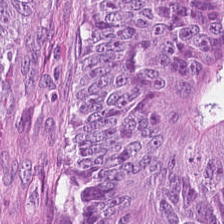Brightfield microscopy. H&E-stained tissue section. Formalin-fixed paraffin-embedded section — The tissue is colorectal adenocarcinoma epithelium.
